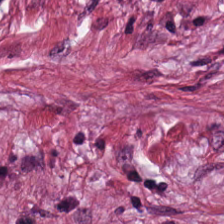Formalin-fixed paraffin-embedded section; hematoxylin-and-eosin stained section.
Q: What is the predominant tissue type?
A: Cancer-associated stroma.
